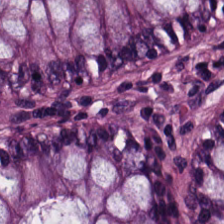H&E-stained tissue section — Q: What does this patch show?
A: Normal colon mucosa.
